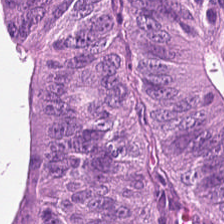0.5 microns per pixel · hematoxylin-and-eosin stained section. Q: What tissue type is shown here?
A: The field shows colorectal adenocarcinoma epithelium.
